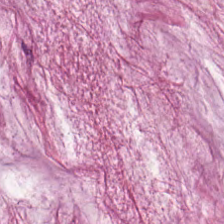Stain: hematoxylin-and-eosin stained section.
Tissue: mucus.
